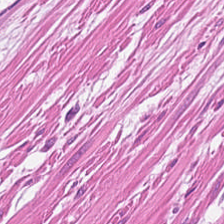Classification: smooth-muscle tissue.
